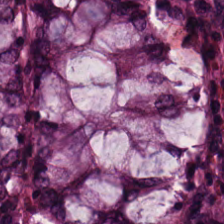Hematoxylin-and-eosin stained section. Brightfield microscopy. FFPE tissue section.
Normal colonic mucosa.
